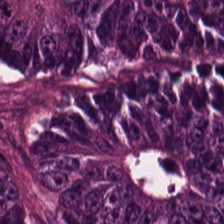Whole-slide-image patch · H&E-stained tissue section.
The tissue here is colorectal adenocarcinoma.
